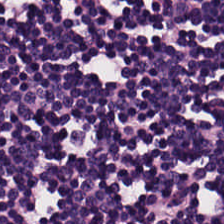Hematoxylin and eosin.
This patch shows lymphocytic infiltrate.
